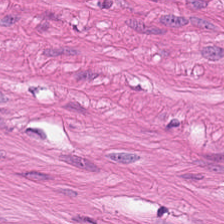Showing smooth-muscle tissue.
